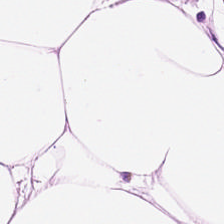Adipose.
